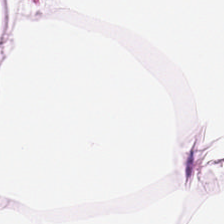Classification: adipose tissue.
